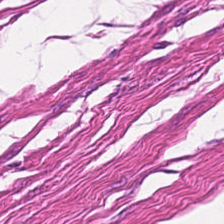H&E stain — Q: Classify this patch.
A: This is smooth muscle.
